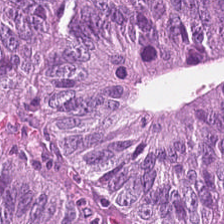224×224 px patch. Hematoxylin-and-eosin stained section. Impression — tumor epithelium.
